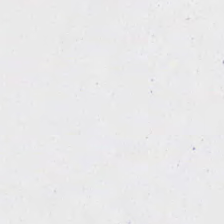H&E. 0.5 µm per pixel.
Empty background.
